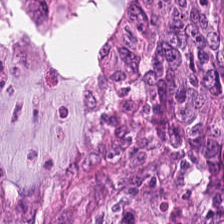Stain: hematoxylin-and-eosin stained section.
Tissue: colorectal adenocarcinoma epithelium.
